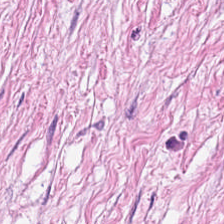FFPE tissue section; H&E. Tissue type: tumor-associated stroma.
